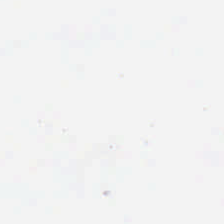H&E-stained tissue section — This field is background (no tissue).
